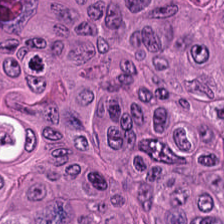Hematoxylin-and-eosin stained section — Tumor epithelium.
